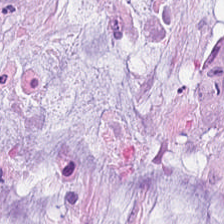{"tissue_type": "mucus"}
